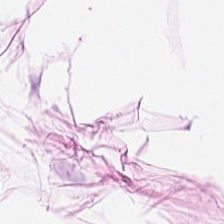Hematoxylin-and-eosin stained section — This patch shows adipose tissue.
